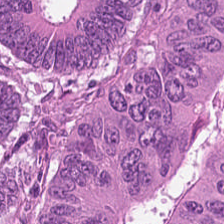Stain: H&E stain.
Predominant tissue: colorectal adenocarcinoma epithelium.
